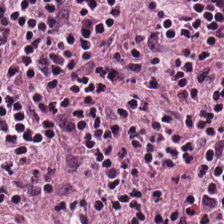H&E patch showing lymphoid infiltrate.
